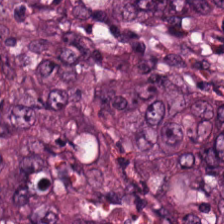Q: What tissue is shown?
A: This is adenocarcinoma.
